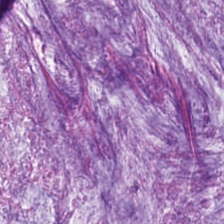H&E stain — Classification: mucin.
